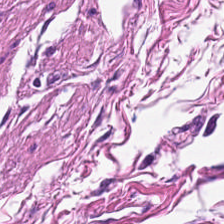Hematoxylin-and-eosin stained section. Showing muscularis.
